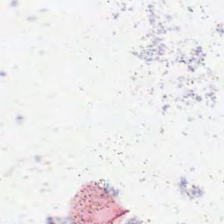Hematoxylin and eosin.
Field content: no tissue.
